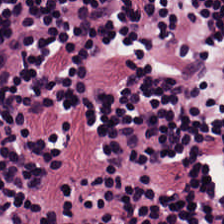Whole-slide-image patch; H&E.
Finding — lymphocytes.
